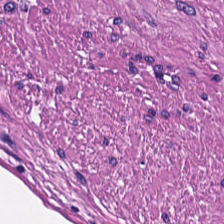H&E-stained tissue section.
Q: What tissue is shown?
A: Smooth muscle.
